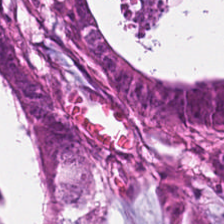Hematoxylin and eosin — Predominant tissue: tumor epithelium.
